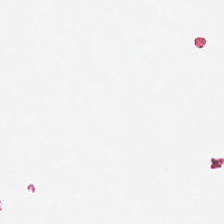Hematoxylin-and-eosin stained section. No tissue present; background only.
